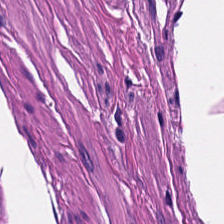H&E. This patch shows smooth muscle.
